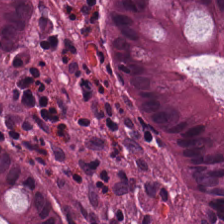H&E — The predominant tissue is normal colon mucosa.
